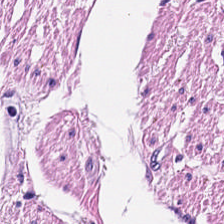FFPE tissue section · H&E — Predominant tissue = smooth muscle.
